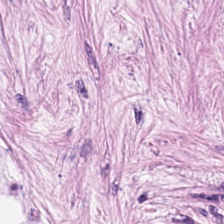H&E-stained tissue section; brightfield — Tissue type = desmoplastic stroma.
